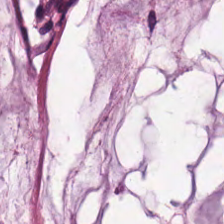H&E-stained tissue section — Predominant tissue = mucus.
